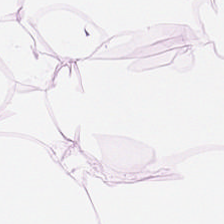H&E — Q: Identify the tissue.
A: It is adipose.
